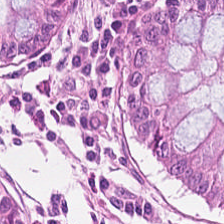Hematoxylin-and-eosin stained section. 224×224 px patch. Histology — normal colonic mucosa.
